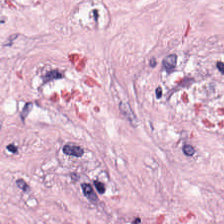Whole-slide-image patch. FFPE. H&E. The predominant tissue is tumor-associated stroma.
